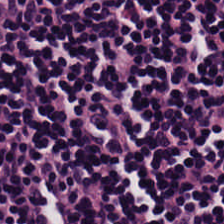Hematoxylin-and-eosin stained section · brightfield microscopy. Q: What is shown in this field?
A: The field shows lymphoid infiltrate.
